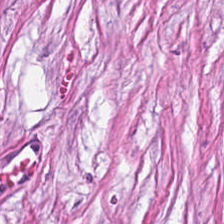Q: Classify this patch.
A: This is tumor-associated stroma.
